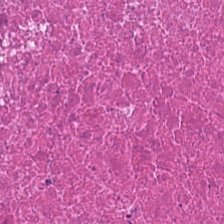H&E stain — Predominant tissue: debris.
